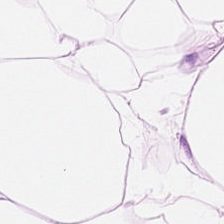20× equivalent magnification. Hematoxylin-and-eosin stained section.
This patch shows adipose tissue.
